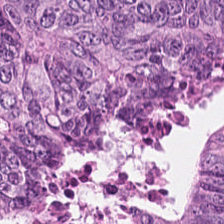Hematoxylin and eosin.
The tissue class is colorectal adenocarcinoma.
